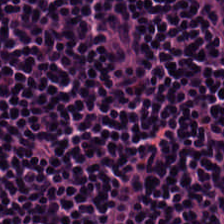Hematoxylin and eosin. Classification = lymphocytes.
